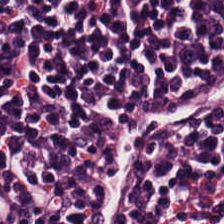Formalin-fixed paraffin-embedded section · H&E. Tissue — lymphocytes.
